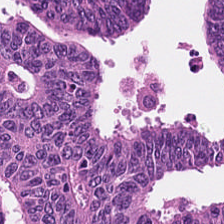H&E — Finding → colorectal adenocarcinoma epithelium.
